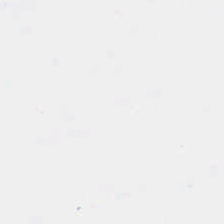This patch shows empty background.
